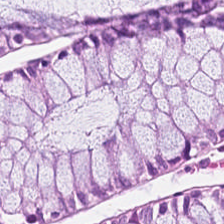FFPE; H&E. This field is normal colon mucosa.
